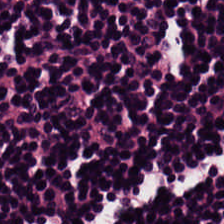Lymphoid infiltrate.
